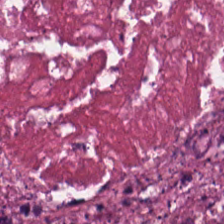H&E.
Histology — cellular debris.
